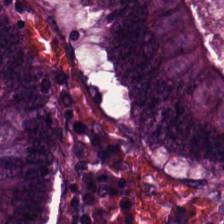Hematoxylin and eosin · WSI patch. This field is adenocarcinoma.
